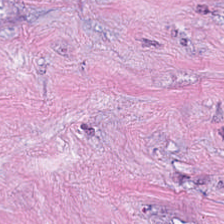Hematoxylin-and-eosin section: cancer-associated stroma.
